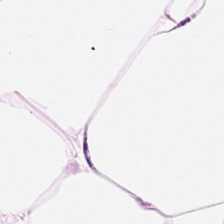Stain: H&E.
Acquisition: brightfield microscopy.
Tile size: 224×224 px patch.
Predominant tissue: adipose.
